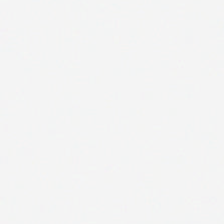Hematoxylin-and-eosin stained section. Content = empty background.
